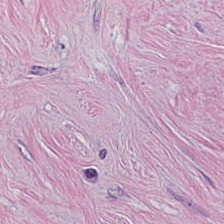H&E · 0.5 µm per pixel. Classification: cancer-associated stroma.
